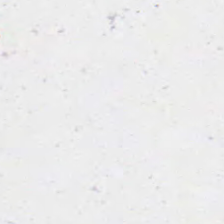Empty field — background (no tissue).
